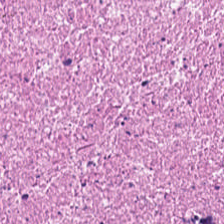H&E · whole-slide-image patch.
This patch shows cellular debris.
